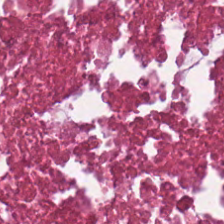H&E; FFPE tissue section — Tissue type: cellular debris.
